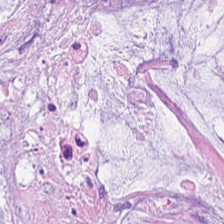H&E stain. The predominant tissue is mucus.
